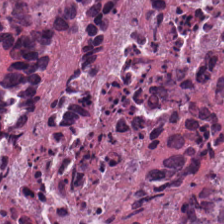0.5 microns per pixel. Hematoxylin and eosin. 224×224 px tile. Impression — necrotic debris.
